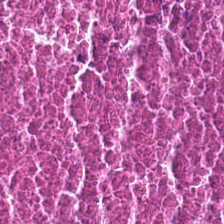Hematoxylin and eosin — Q: What is shown in this field?
A: Debris.
